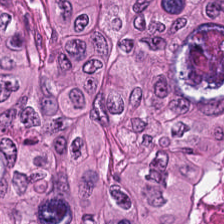Tissue type = colorectal adenocarcinoma epithelium.
